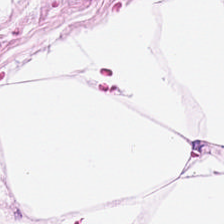Classification — adipocytes.
